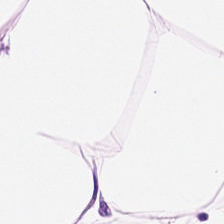Stain: H&E.
Acquisition: whole-slide-image patch.
Resolution: 20× equivalent magnification.
Tissue class: adipose.
